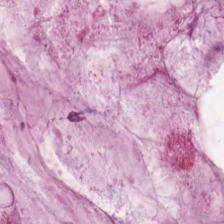H&E.
Predominantly mucin.
